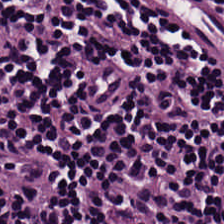Predominant tissue: lymphocytic infiltrate.
